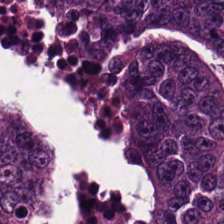Stain: H&E stain.
Tissue: malignant epithelium.
